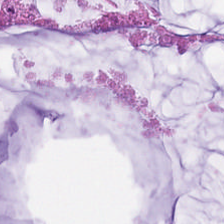224×224 px patch; WSI patch; H&E.
The predominant tissue is mucus.
